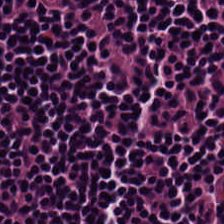This field is lymphocytes.
